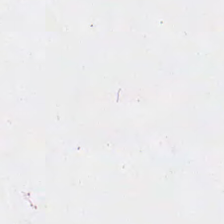224×224 px patch. Hematoxylin and eosin — This field is background (no tissue).
